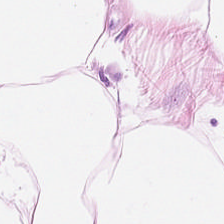Hematoxylin-and-eosin stained section. Finding — adipocytes.
